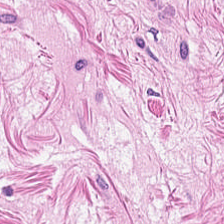Brightfield microscopy. H&E-stained tissue section — The tissue here is muscularis.
